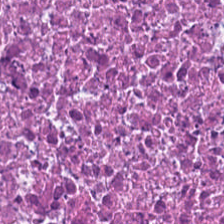Stain: hematoxylin and eosin.
Classification: cellular debris.
